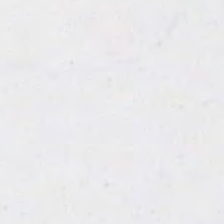H&E stain — No tissue present; background only.
